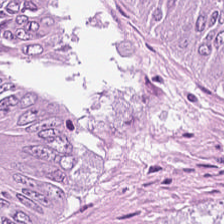H&E stain.
The tissue is tumor epithelium.
